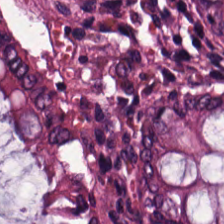H&E-stained tissue section — Predominantly normal colon mucosa.
